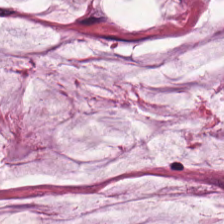H&E-stained tissue section. Q: What tissue is shown?
A: It is extracellular mucin.
